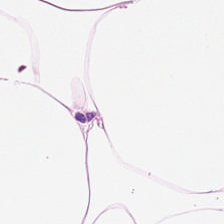H&E-stained tissue section; 0.5 µm/px — Tissue: fat tissue.
